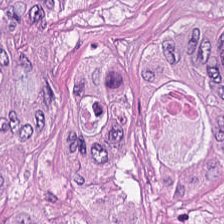Brightfield. 224×224 px patch. H&E. The tissue is malignant epithelium.
